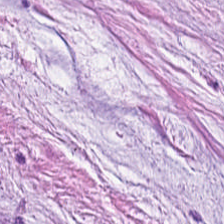H&E stain — Tissue class — mucus.
